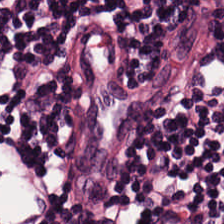Hematoxylin-and-eosin stained section.
This patch shows lymphoid infiltrate.
